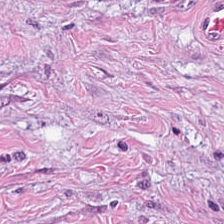Hematoxylin-and-eosin stained section.
Histology — tumor-associated stroma.
